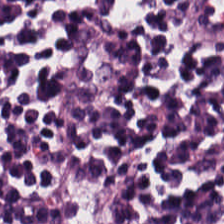Formalin-fixed paraffin-embedded section · H&E-stained tissue section — {"tissue_type": "lymphocyte aggregate"}
